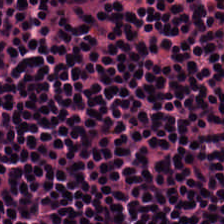Stain: H&E stain.
Predominant tissue: lymphoid infiltrate.
